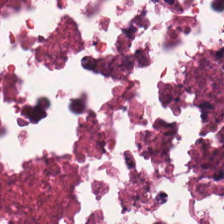H&E stain.
Predominant tissue: cellular debris.
